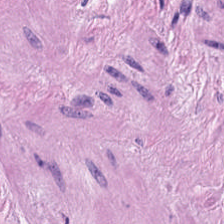H&E.
The tissue here is smooth muscle.
